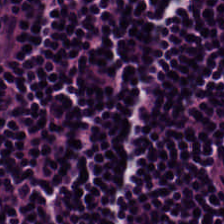H&E.
Tissue: lymphoid infiltrate.
